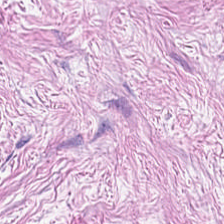H&E stain. Tissue = cancer-associated stroma.
